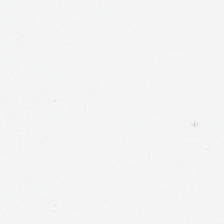Brightfield · H&E · 20× equivalent magnification.
Background (no tissue).
